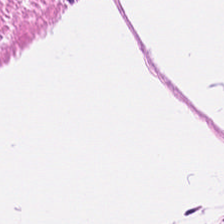H&E stain. The predominant tissue is smooth muscle.
